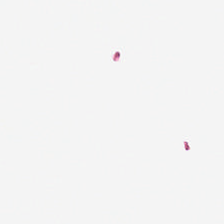Stain: H&E stain.
Field content: empty background.
